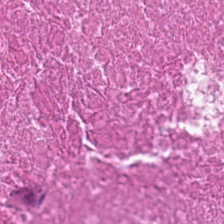H&E stain; WSI patch. {"tissue_type": "cellular debris"}
